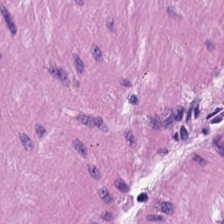20× equivalent magnification · H&E stain — This patch shows smooth muscle.
